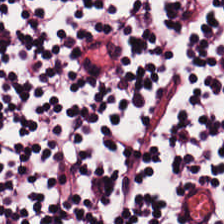WSI patch; hematoxylin and eosin.
Q: What is shown here?
A: The field shows lymphoid infiltrate.
